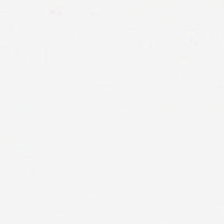Empty background.
